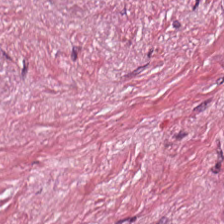Hematoxylin and eosin. Tumor stroma.
